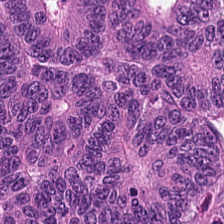H&E stain. Classification: colorectal adenocarcinoma.
